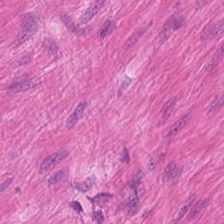FFPE · H&E.
Histology — muscularis.
